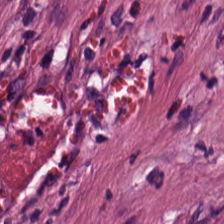Hematoxylin and eosin.
The tissue here is tumor-associated stroma.
